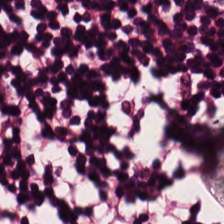20× equivalent magnification · FFPE tissue section · hematoxylin-and-eosin stained section.
Impression — lymphocytes.
